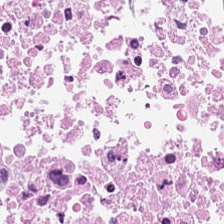Hematoxylin and eosin; brightfield — Q: What tissue is shown?
A: It is necrotic debris.
